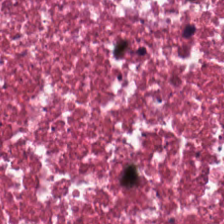224×224 pixel tile · H&E-stained tissue section.
Tissue type = necrotic debris.
